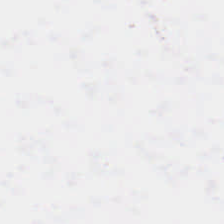224×224 px patch · hematoxylin-and-eosin stained section.
{"content": "background"}
